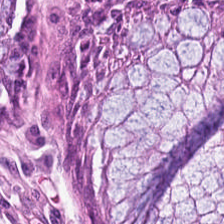H&E.
Tissue class = normal colonic mucosa.
